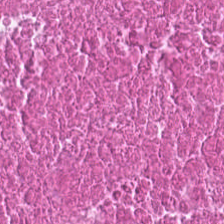FFPE tissue section. WSI patch. H&E stain — Showing debris.
